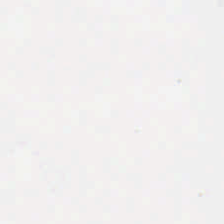0.5 µm/px · H&E-stained tissue section.
No tissue.
